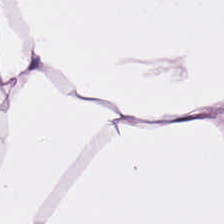Finding → adipose tissue.
